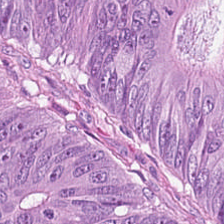H&E-stained tissue section. Showing adenocarcinoma.
